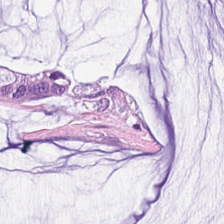Q: What tissue is shown?
A: The field shows extracellular mucin.
